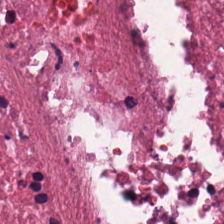Formalin-fixed paraffin-embedded section. WSI patch. H&E.
Tissue class — debris.
